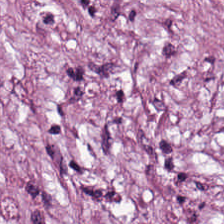Q: What is the predominant tissue type?
A: This is desmoplastic stroma.
